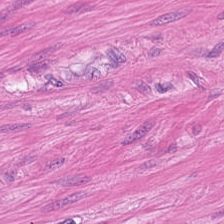The tissue here is muscularis.
